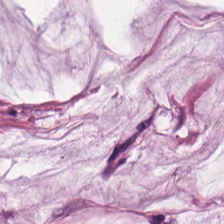0.5 microns per pixel; H&E stain — Tissue = extracellular mucin.
